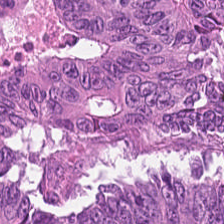H&E stain. Predominantly malignant epithelium.
